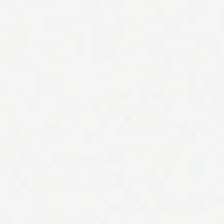Hematoxylin and eosin. 0.5 µm per pixel. Content = background (no tissue).
